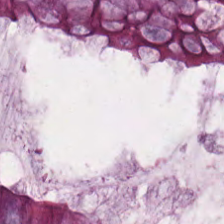H&E stain. Predominant tissue: normal colonic mucosa.
